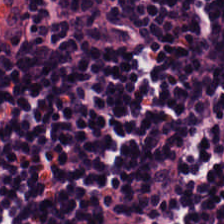0.5 µm/px · H&E.
Predominantly lymphoid infiltrate.
